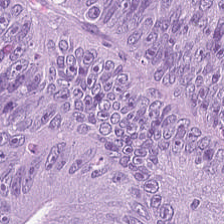Hematoxylin and eosin · 0.5 µm per pixel.
Predominantly colorectal adenocarcinoma epithelium.
